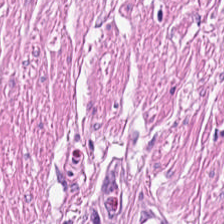Showing smooth-muscle tissue.
